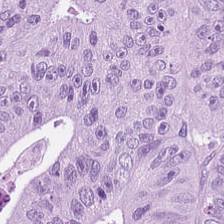WSI patch · 0.5 µm per pixel · H&E stain. This field is tumor epithelium.
